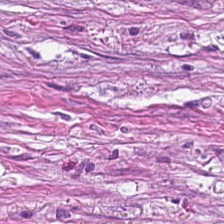224×224 pixel tile; H&E-stained tissue section. This patch shows tumor-associated stroma.
